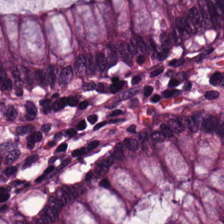H&E stain.
{"tissue_type": "normal colon mucosa"}
